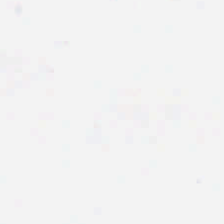Hematoxylin-and-eosin stained section; brightfield.
Q: Classify this patch.
A: This is empty background.
